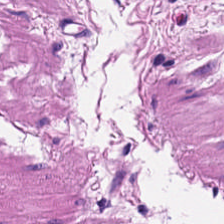Tissue: smooth-muscle tissue.
